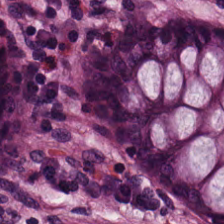Hematoxylin and eosin · 0.5 µm/px. Tissue — non-neoplastic colon mucosa.
